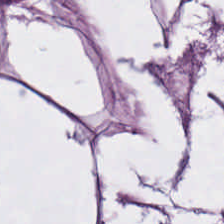Whole-slide-image patch. Hematoxylin and eosin. 0.5 µm per pixel. Finding — fat tissue.
